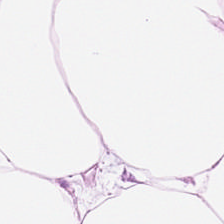Whole-slide-image patch · H&E stain · 224×224 pixel tile.
Q: What is the predominant tissue type?
A: The field shows adipocytes.
